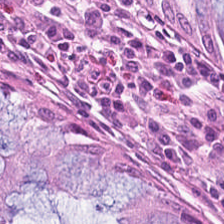Finding — benign colonic mucosa.
